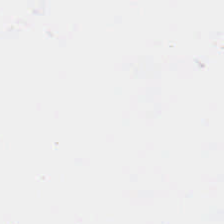Classification: empty background.
